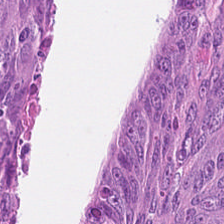Hematoxylin-and-eosin stained section.
Showing malignant epithelium.
